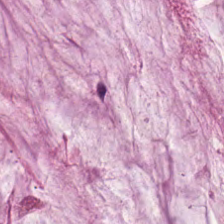Hematoxylin and eosin.
Q: What tissue is shown?
A: This is mucus.
